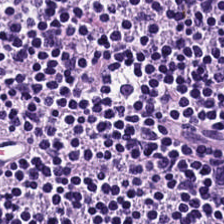H&E-stained tissue section — Tissue — lymphocyte aggregate.
